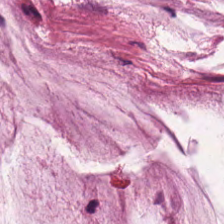H&E stain — The predominant tissue is mucin.
